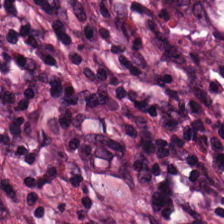224×224 pixel tile · hematoxylin and eosin · 0.5 µm per pixel — The tissue here is cancer-associated stroma.
